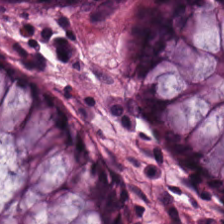Hematoxylin and eosin. This patch shows benign colonic mucosa.
